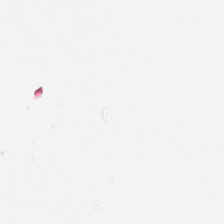This field is background (no tissue).
